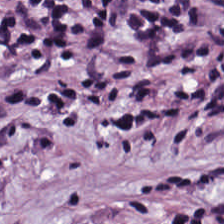H&E. WSI patch. The predominant tissue is cancer-associated stroma.
